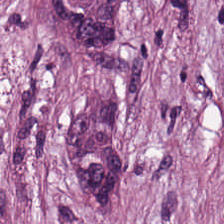H&E stain; whole-slide-image patch.
The tissue here is tumor stroma.
